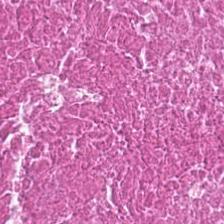Stain: hematoxylin and eosin.
Tissue: debris.
